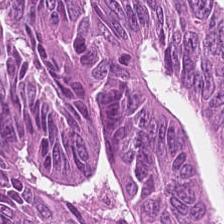This patch shows colorectal adenocarcinoma.
